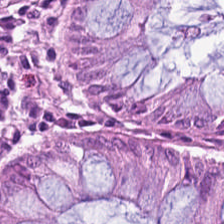Hematoxylin-and-eosin stained section. Predominantly normal colonic mucosa.
